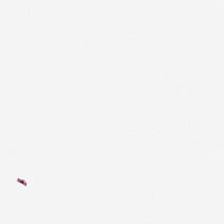Classification = empty background.
